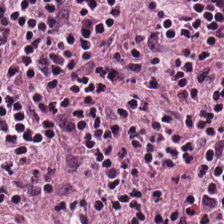H&E-stained tissue section.
Lymphocytic infiltrate.
